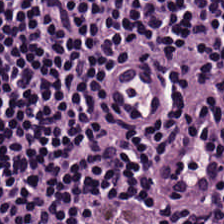224×224 px tile; H&E stain — Finding → lymphocytic infiltrate.
